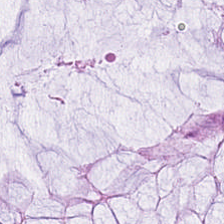This patch shows non-neoplastic colon mucosa.
